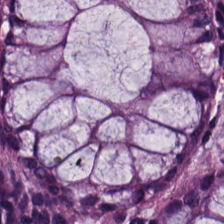{"tissue_type": "non-neoplastic colon mucosa"}
